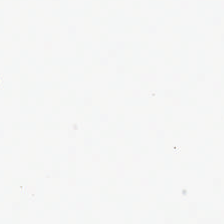Stain: H&E-stained tissue section.
Field content: background.
